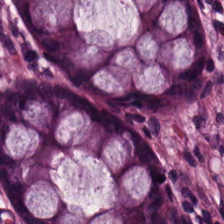Hematoxylin-and-eosin stained section. Classification = benign colonic mucosa.
